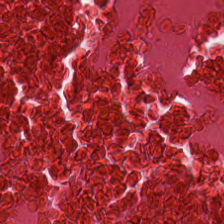H&E-stained tissue section showing cellular debris.
